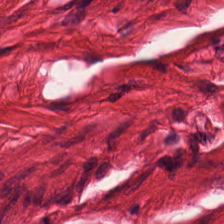0.5 microns per pixel · hematoxylin and eosin. Q: What does this patch show?
A: The field shows smooth-muscle tissue.
